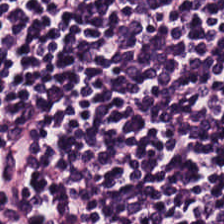Formalin-fixed paraffin-embedded section. Hematoxylin and eosin.
Q: Identify the tissue.
A: This is lymphocytes.
